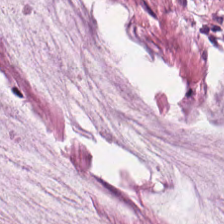H&E stain. Showing mucin.
